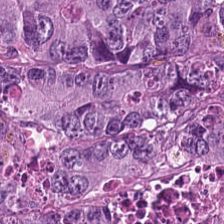Stain: hematoxylin-and-eosin stained section.
Classification: colorectal adenocarcinoma.
